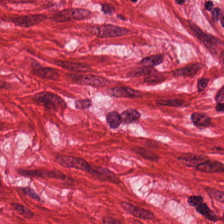Hematoxylin and eosin. Finding → smooth muscle.
